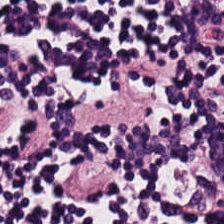224×224 px tile · H&E-stained tissue section.
Showing lymphocyte aggregate.
